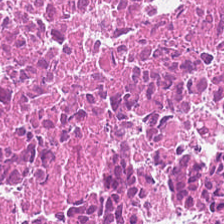224×224 px patch · FFPE tissue section · H&E-stained tissue section — This field is cellular debris.
